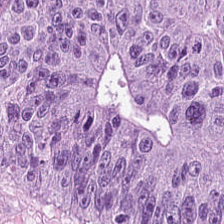Classification = colorectal adenocarcinoma.
